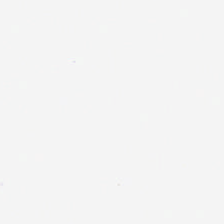Finding — empty background.
